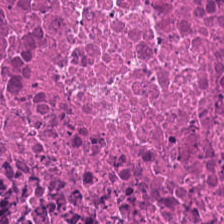H&E-stained tissue section.
Predominant tissue = debris.
